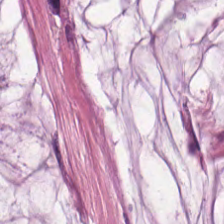WSI patch. 224×224 px tile. H&E-stained tissue section — Tissue class — mucin.
